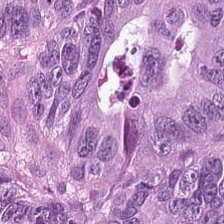H&E-stained tissue section — {"tissue_type": "adenocarcinoma"}
